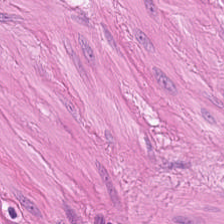H&E-stained tissue section showing smooth muscle.
